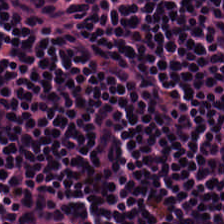Stain: H&E-stained tissue section.
Tissue type: lymphocyte aggregate.
